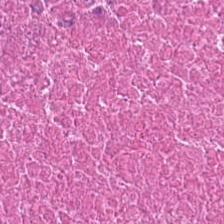Brightfield microscopy. Hematoxylin-and-eosin stained section. Tissue class: cellular debris.
